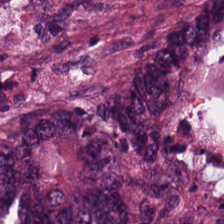Stain: H&E.
Classification: adenocarcinoma.
